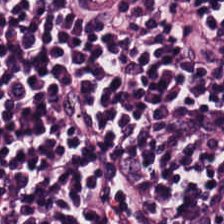Hematoxylin-and-eosin stained section. 224×224 px tile. 0.5 microns per pixel.
{"tissue_type": "lymphocytic infiltrate"}
